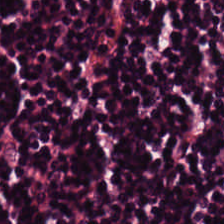H&E — Predominantly lymphocyte aggregate.
